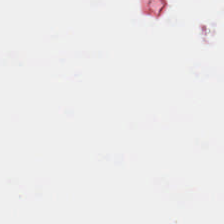0.5 microns per pixel · H&E stain. Empty field — background (no tissue).
